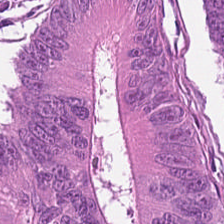Hematoxylin and eosin. 20× equivalent magnification — Classification = malignant epithelium.
